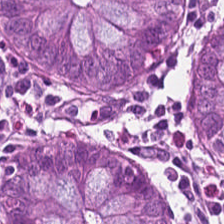H&E-stained tissue section — Classification: benign colonic mucosa.
